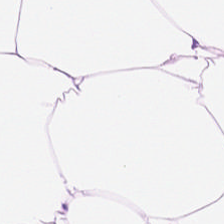H&E-stained section; the field shows adipose tissue.
